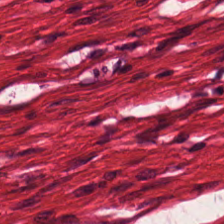The tissue class is smooth-muscle tissue.
